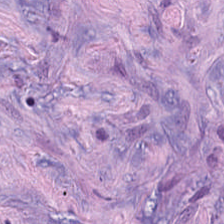Showing desmoplastic stroma.
